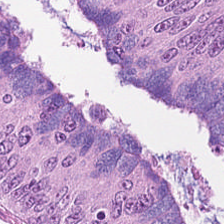H&E · formalin-fixed paraffin-embedded section.
The tissue here is tumor epithelium.
